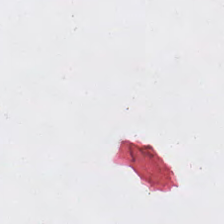Classification = no tissue.
